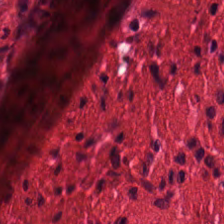Predominantly smooth-muscle tissue.
